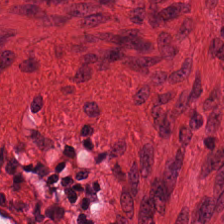Stain: H&E.
Tissue type: smooth-muscle tissue.
